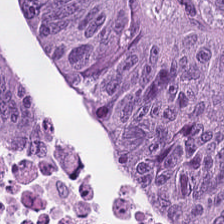H&E stain. Predominantly colorectal adenocarcinoma epithelium.
